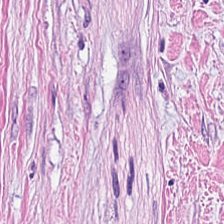H&E stain. Impression → tumor-associated stroma.
